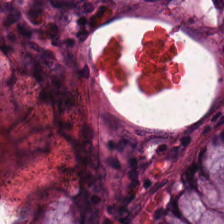H&E. Tissue: non-neoplastic colon mucosa.
